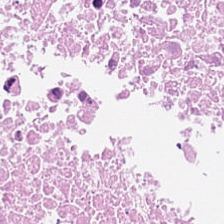Predominant tissue — debris.
